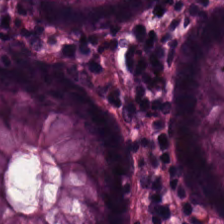The predominant tissue is normal colon mucosa.
